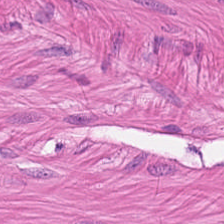Hematoxylin-and-eosin stained section. 0.5 microns per pixel. Showing smooth muscle.
